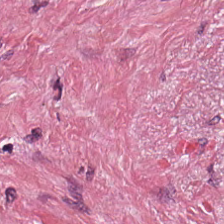FFPE; H&E.
Showing tumor stroma.
